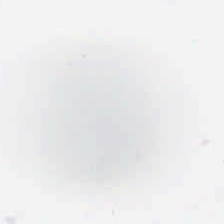{"content": "empty background"}
